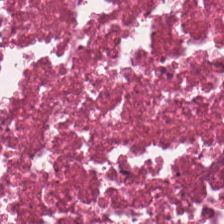H&E-stained tissue section — The predominant tissue is debris.
